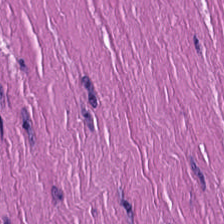H&E stain; FFPE tissue section. This field is smooth-muscle tissue.
